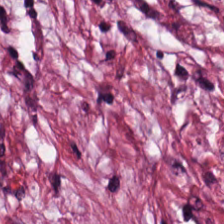Stain: hematoxylin and eosin.
Classification: desmoplastic stroma.
